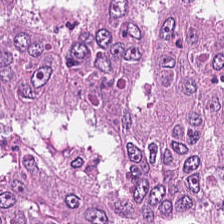FFPE tissue section. 0.5 microns per pixel. Hematoxylin and eosin — Impression — malignant epithelium.
